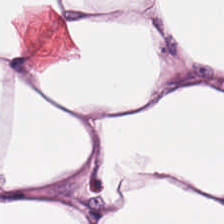Stain: H&E-stained tissue section.
Resolution: 0.5 µm per pixel.
Tissue: fat tissue.
